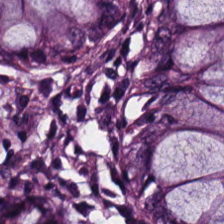Stain: hematoxylin-and-eosin stained section.
Tissue: normal colonic mucosa.
